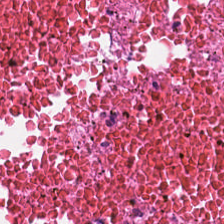Hematoxylin and eosin; 224×224 px tile.
Histology → cellular debris.
